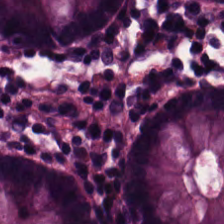WSI patch; H&E — The tissue here is benign colonic mucosa.
